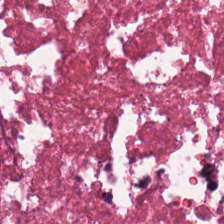Stain: H&E.
Tissue: necrotic debris.
